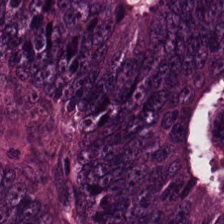H&E; brightfield — Predominant tissue — colorectal adenocarcinoma epithelium.
